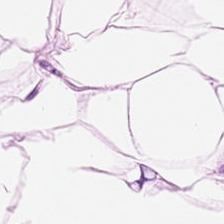H&E-stained tissue section.
Fat tissue.
